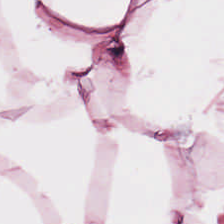Tissue = adipose.
